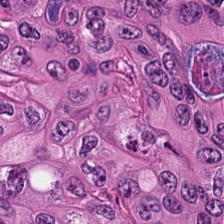Hematoxylin-and-eosin stained section. 20× equivalent magnification.
Q: What tissue is shown?
A: Malignant epithelium.
